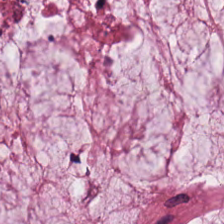Hematoxylin and eosin.
Mucin.
